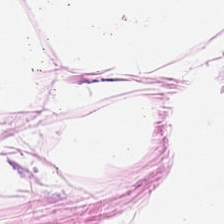H&E — The predominant tissue is adipocytes.
